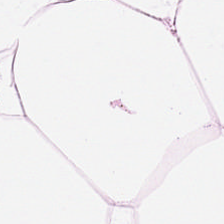0.5 µm per pixel. H&E. Fat tissue.
